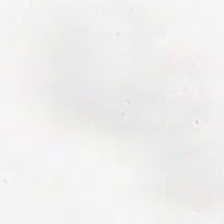H&E. Whole-slide-image patch. 224×224 px tile. Q: Classify this patch.
A: No tissue.
